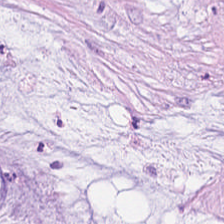Whole-slide-image patch · H&E-stained tissue section. Tissue type — mucus.
